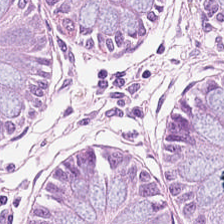H&E-stained tissue section. 0.5 µm per pixel. 224×224 px patch.
Predominant tissue — normal colonic mucosa.
